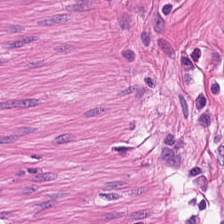{"tissue_type": "muscularis"}
